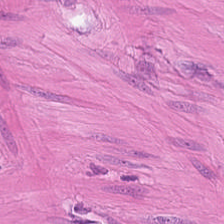Tissue class — smooth muscle.
